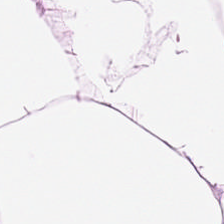H&E. Predominantly adipocytes.
